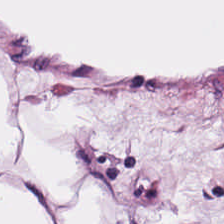H&E-stained tissue section; 224×224 px patch. This field is adipocytes.
